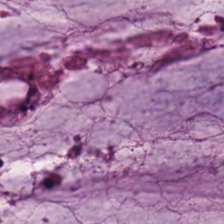FFPE · H&E. Histology — mucin.
